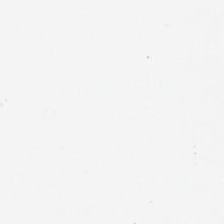H&E-stained tissue section.
This field is background (no tissue).
